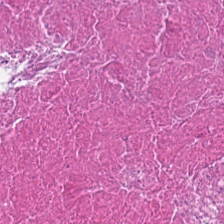WSI patch · 224×224 pixel tile · hematoxylin and eosin.
Tissue type = cellular debris.
